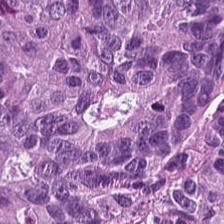H&E stain. The predominant tissue is adenocarcinoma.
